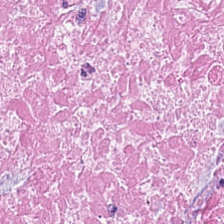Hematoxylin and eosin. Impression → cellular debris.
